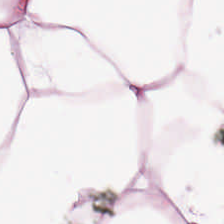H&E-stained tissue section. Tissue type — adipocytes.
